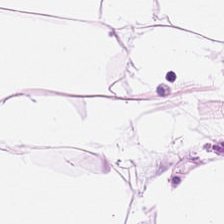Hematoxylin and eosin · 0.5 µm/px. Impression → adipose.
